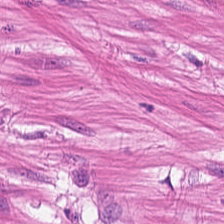H&E — Q: What type of tissue is this?
A: Smooth muscle.
